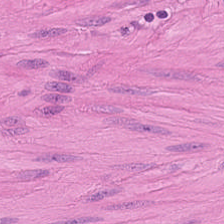H&E.
Smooth-muscle tissue.
